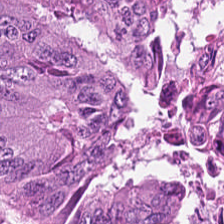H&E stain — The tissue class is colorectal adenocarcinoma.
